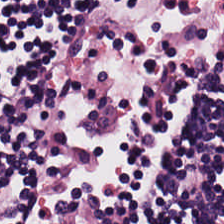H&E. Histology → lymphoid infiltrate.
